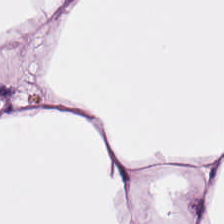H&E-stained tissue section · FFPE tissue section — The tissue here is adipose.
